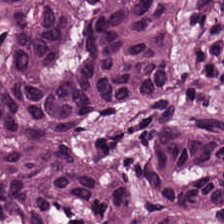H&E — Tissue type — colorectal adenocarcinoma.
